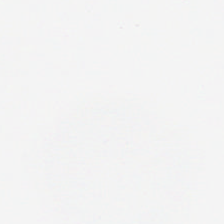Stain: H&E.
Content: no tissue.
